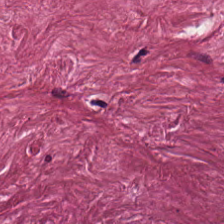Brightfield. H&E. 0.5 µm per pixel — Tissue — tumor-associated stroma.
